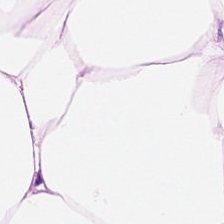H&E; FFPE tissue section. Predominantly adipose tissue.
